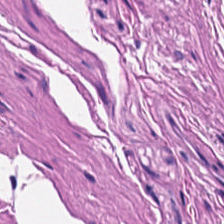Impression — smooth-muscle tissue.
